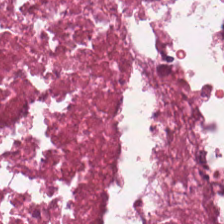Stain: H&E.
Tissue: cellular debris.
